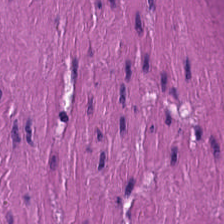H&E · 224×224 px tile · whole-slide-image patch. This field is smooth muscle.
